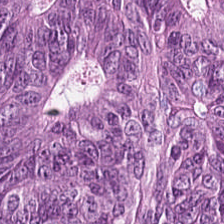H&E-stained tissue section. Predominant tissue = tumor epithelium.
